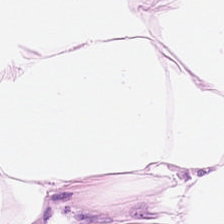Hematoxylin-and-eosin stained section. FFPE tissue section — The tissue here is adipose.
